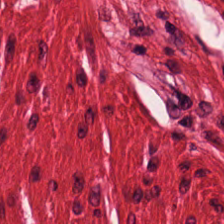0.5 µm/px. H&E-stained tissue section. Histology → smooth-muscle tissue.
